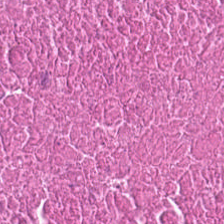Hematoxylin and eosin.
The tissue here is necrotic debris.
